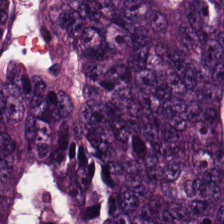Hematoxylin-and-eosin stained section.
This field is tumor epithelium.
